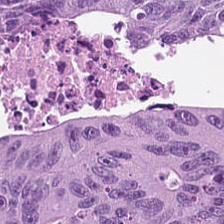H&E-stained tissue section — The predominant tissue is adenocarcinoma.
